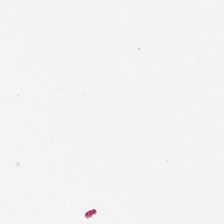224×224 px patch · H&E stain. Q: What is shown here?
A: The field shows empty background.
